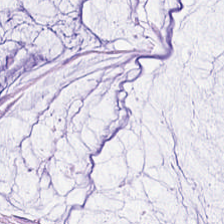Stain: H&E.
Preparation: FFPE.
Tissue type: mucus.
